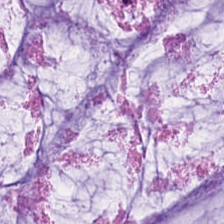H&E-stained tissue section. FFPE tissue section.
Tissue type: mucin.
